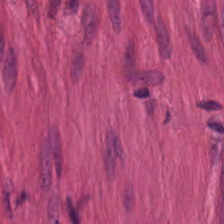224×224 px patch. 20× equivalent magnification. H&E — Predominantly muscularis.
